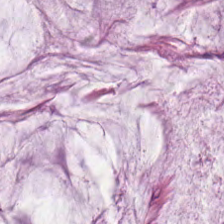Hematoxylin-and-eosin stained section. Q: What is shown in this field?
A: This is extracellular mucin.
